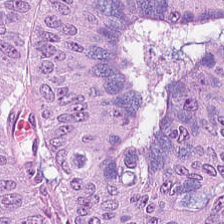H&E-stained tissue section. Brightfield.
Predominantly adenocarcinoma.
